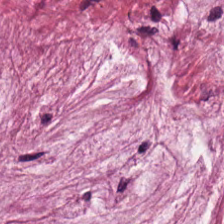Formalin-fixed paraffin-embedded section; H&E-stained tissue section.
Histology → mucus.
